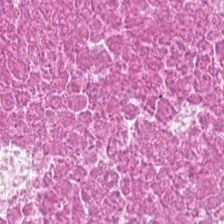224×224 px patch; H&E.
The tissue type is necrotic debris.
